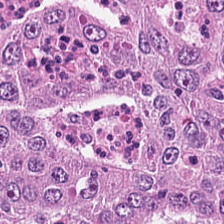FFPE. WSI patch. Hematoxylin-and-eosin stained section.
This patch shows adenocarcinoma.
